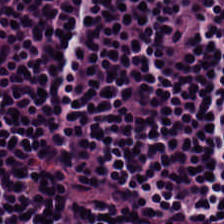H&E.
Impression → lymphocytic infiltrate.
